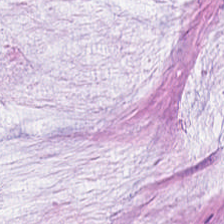Hematoxylin-and-eosin section: extracellular mucin.
